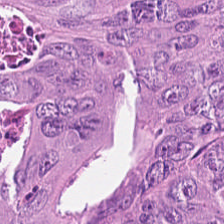H&E-stained tissue section; 0.5 µm/px — The classification is colorectal adenocarcinoma.
